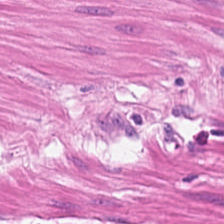Formalin-fixed paraffin-embedded section. H&E stain. Finding — smooth muscle.
